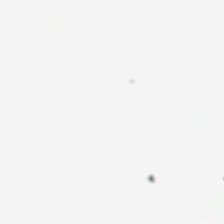224×224 px tile · H&E. This patch shows no tissue.
